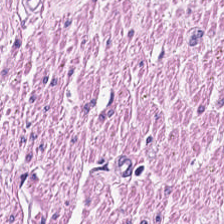Brightfield microscopy; 0.5 µm per pixel; H&E.
Q: What is shown in this field?
A: This is smooth muscle.
